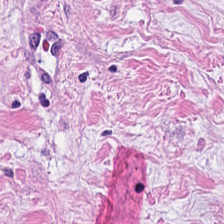Q: What type of tissue is this?
A: It is desmoplastic stroma.
